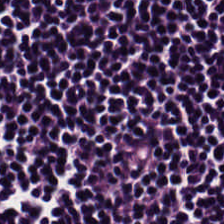H&E-stained tissue section · WSI patch.
Lymphocyte aggregate.
